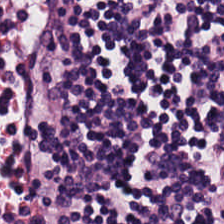H&E stain · whole-slide-image patch. Tissue class = lymphocytes.
